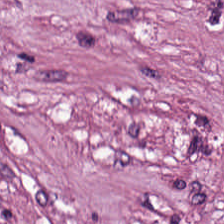H&E-stained tissue section. Brightfield microscopy. Tissue class = tumor-associated stroma.
